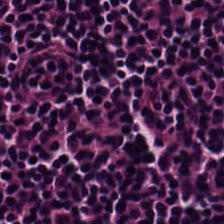FFPE · H&E stain. Finding → lymphoid infiltrate.
